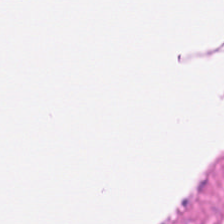Hematoxylin-and-eosin stained section.
Tissue type = muscularis.
